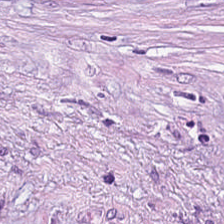The tissue here is cancer-associated stroma.
